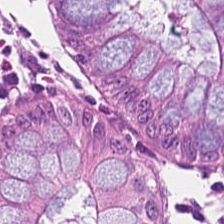H&E — normal colonic mucosa.
